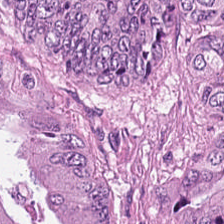Q: What is shown here?
A: The field shows malignant epithelium.
